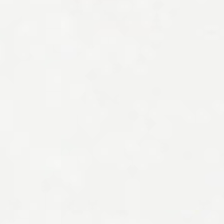H&E stain.
Q: Classify this patch.
A: This is empty background.
